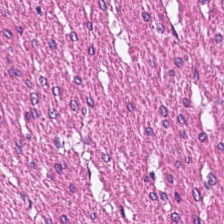Hematoxylin-and-eosin stained section. The tissue here is muscularis.
